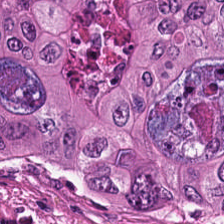Hematoxylin and eosin. 20× equivalent magnification — Classification: adenocarcinoma.
